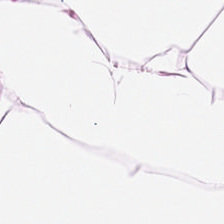H&E · brightfield microscopy — This field is fat tissue.
